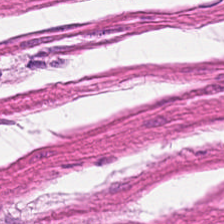224×224 px tile. Hematoxylin-and-eosin stained section. Predominant tissue: muscularis.
